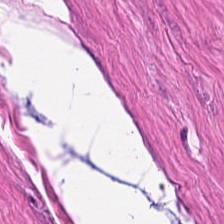Stain: H&E stain.
Classification: muscularis.
